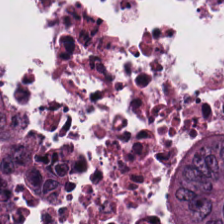Stain: hematoxylin and eosin.
Classification: malignant epithelium.
